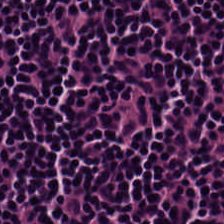H&E · 20× equivalent magnification.
Tissue class: lymphocyte aggregate.
